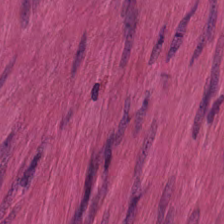Predominant tissue — smooth-muscle tissue.
